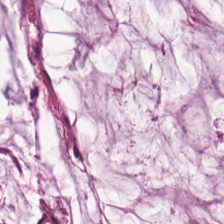The predominant tissue is mucin.
